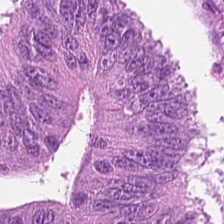Hematoxylin and eosin. Tissue class: malignant epithelium.
